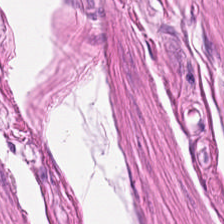H&E-stained tissue section. Q: Classify this patch.
A: It is muscularis.
